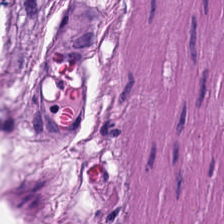224×224 px patch · H&E-stained tissue section · FFPE.
Predominant tissue = smooth-muscle tissue.
